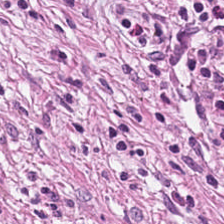H&E-stained tissue section — This field is desmoplastic stroma.
